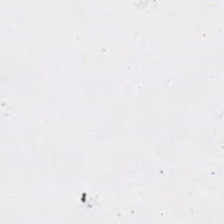Hematoxylin-and-eosin stained section; formalin-fixed paraffin-embedded section — No tissue present; background only.
